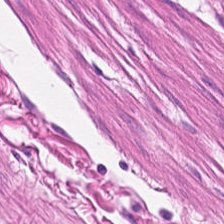Q: What is shown here?
A: The field shows muscularis.
